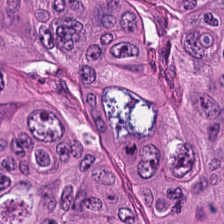224×224 px patch · hematoxylin and eosin · 0.5 µm per pixel — The predominant tissue is adenocarcinoma.
